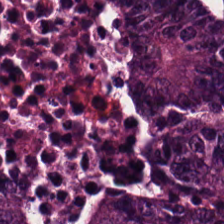H&E-stained tissue section.
Finding → colorectal adenocarcinoma.
